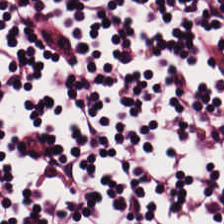Hematoxylin-and-eosin stained section. Impression → lymphocyte aggregate.
